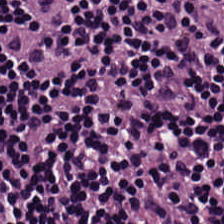224×224 px patch · hematoxylin and eosin · 0.5 µm per pixel. Tissue type = lymphocyte aggregate.
